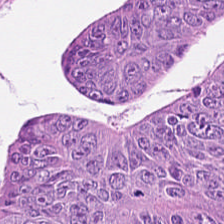Predominant tissue = tumor epithelium.
